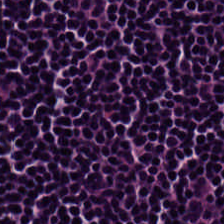Brightfield microscopy. Hematoxylin-and-eosin stained section. FFPE.
Tissue = lymphocyte aggregate.
